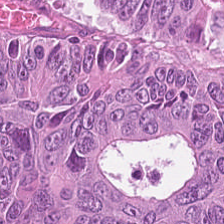{"tissue_type": "adenocarcinoma"}
